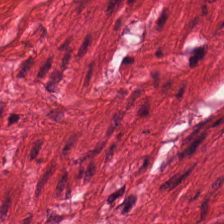Hematoxylin-and-eosin stained section. Tissue class = muscularis.
